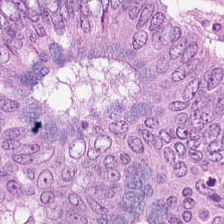H&E-stained tissue section. The tissue here is adenocarcinoma.
